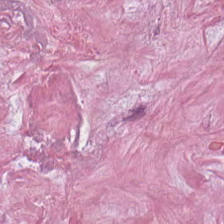H&E. The predominant tissue is tumor-associated stroma.
